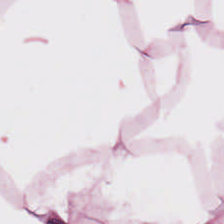The tissue class is fat tissue.
